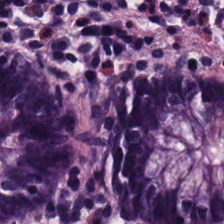Hematoxylin and eosin — Impression — normal colonic mucosa.
